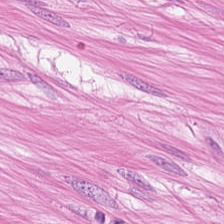H&E patch showing muscularis.
